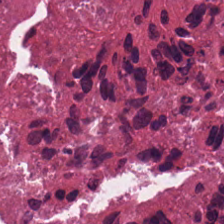H&E.
Tissue = cellular debris.
